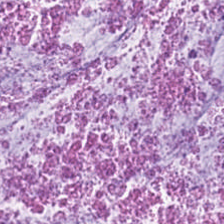H&E · 20× equivalent magnification · brightfield microscopy. Q: What is shown in this field?
A: The field shows mucin.
